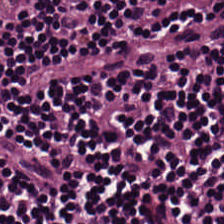H&E stain. The tissue class is lymphocyte aggregate.
